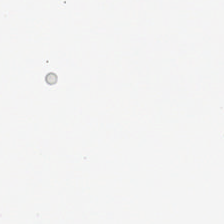0.5 µm/px · hematoxylin-and-eosin stained section. Q: What is shown here?
A: It is background (no tissue).
